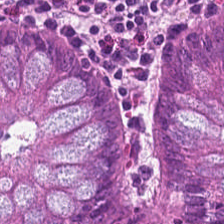Stain: H&E.
Classification: normal colonic mucosa.
